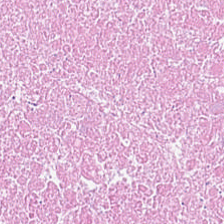H&E · WSI patch · 20× equivalent magnification. This patch shows cellular debris.
